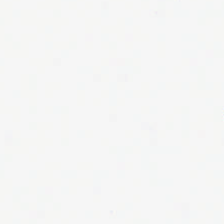Background — no tissue in this field.
